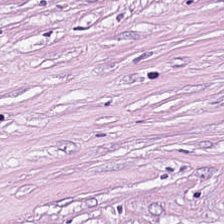Brightfield. H&E stain. 224×224 pixel tile — {"tissue_type": "cancer-associated stroma"}
